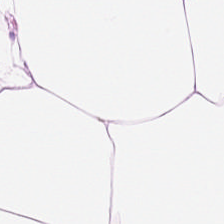Hematoxylin and eosin. Adipose tissue.
